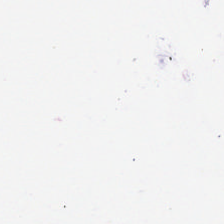224×224 pixel tile; H&E stain — Histology → background.
